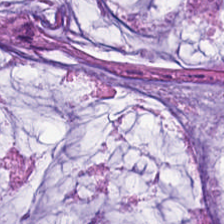224×224 pixel tile; hematoxylin-and-eosin stained section — Predominantly mucus.
